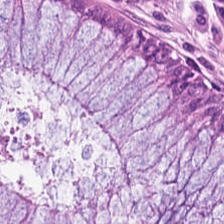H&E stain; FFPE tissue section; 0.5 microns per pixel.
The tissue here is normal colon mucosa.
